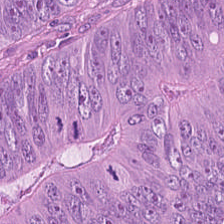H&E-stained tissue section; 224×224 px patch; 20× equivalent magnification.
Tissue type = colorectal adenocarcinoma epithelium.
